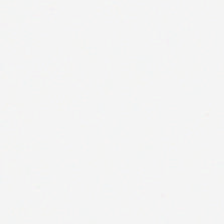H&E-stained tissue section.
Background — no tissue in this field.
